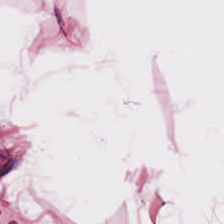FFPE tissue section · 224×224 px patch · H&E-stained tissue section — This field is adipocytes.
